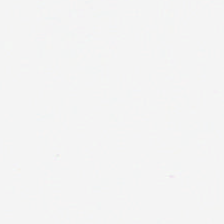FFPE; H&E stain. Classification: no tissue.
